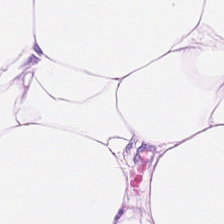H&E-stained tissue section. 0.5 microns per pixel. Finding → fat tissue.
